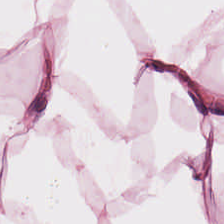Hematoxylin and eosin. 224×224 px patch. WSI patch — Histology — adipocytes.
